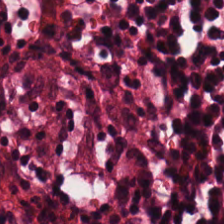Hematoxylin and eosin. Q: Classify this patch.
A: Normal colonic mucosa.
